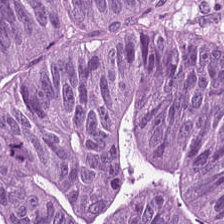0.5 µm/px · H&E-stained tissue section.
The tissue here is colorectal adenocarcinoma epithelium.
